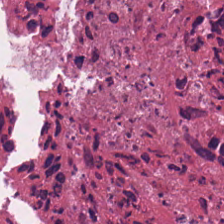FFPE; H&E stain; brightfield microscopy — Classification — necrotic debris.
